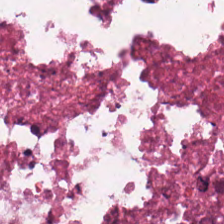0.5 µm per pixel · H&E stain. Showing necrotic debris.
